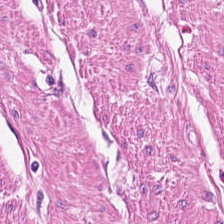Stain: H&E-stained tissue section.
Resolution: 20× equivalent magnification.
Tissue type: muscularis.
